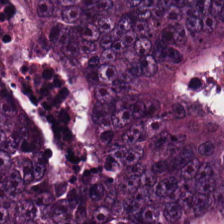Stain: hematoxylin-and-eosin stained section.
Tissue type: colorectal adenocarcinoma epithelium.
